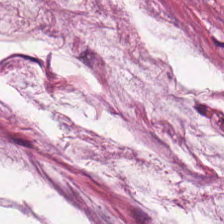Q: Classify this patch.
A: Mucus.
